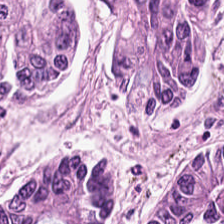Hematoxylin-and-eosin stained section; 0.5 µm/px — {"tissue_type": "malignant epithelium"}
